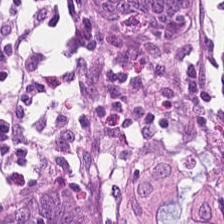Hematoxylin-and-eosin section: benign colonic mucosa.
